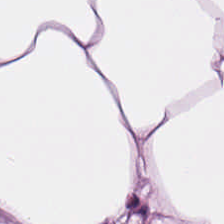H&E; whole-slide-image patch. Tissue type — fat tissue.
